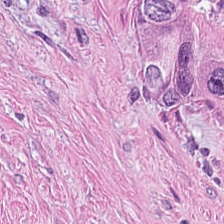Hematoxylin-and-eosin stained section. Q: What tissue is shown?
A: It is desmoplastic stroma.
